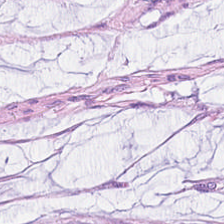H&E-stained tissue section. 224×224 px tile.
Tissue = mucin.
